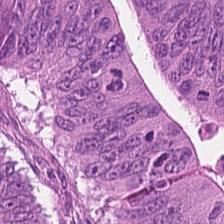Hematoxylin-and-eosin stained section · WSI patch · FFPE.
This patch shows tumor epithelium.
